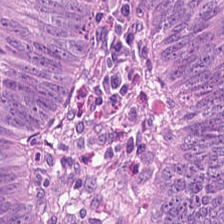Classification = tumor epithelium.
